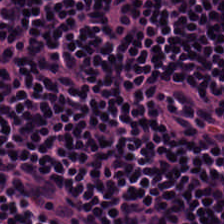H&E stain; 0.5 microns per pixel; 224×224 px patch. Tissue type: lymphocyte aggregate.
